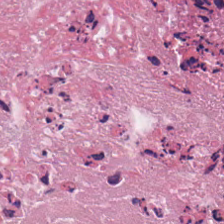H&E stain.
Tissue type = debris.
